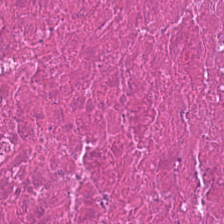Stain: hematoxylin-and-eosin stained section.
Classification: necrotic debris.
